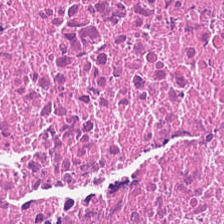H&E; FFPE tissue section; 0.5 microns per pixel. Q: What does this patch show?
A: This is necrotic debris.
